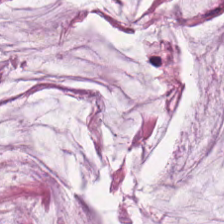H&E stain — Tissue type: mucin.
